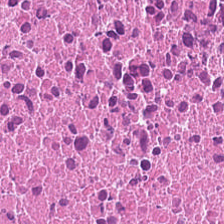H&E-stained tissue section — Q: What tissue is shown?
A: The field shows necrotic debris.
